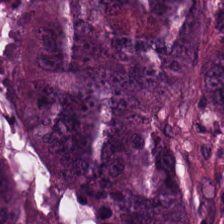Brightfield. 224×224 pixel tile. H&E — Tissue — adenocarcinoma.
